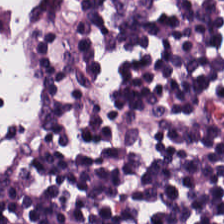Hematoxylin-and-eosin stained section · FFPE · WSI patch — Tissue class: lymphocyte aggregate.
